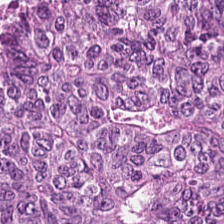Hematoxylin and eosin. Showing tumor epithelium.
